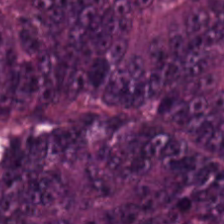H&E stain. Brightfield microscopy. 224×224 px patch — The predominant tissue is adenocarcinoma.
